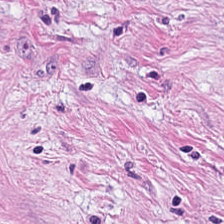H&E-stained tissue section · 224×224 pixel tile — The predominant tissue is tumor-associated stroma.
